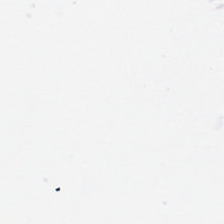FFPE · hematoxylin and eosin. This field is background (no tissue).
